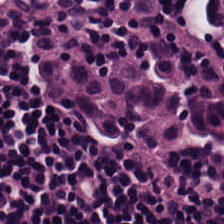Formalin-fixed paraffin-embedded section. H&E stain. This field is lymphocytes.
